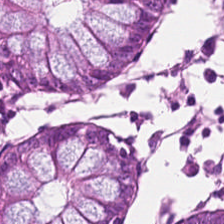Hematoxylin-and-eosin stained section; 224×224 px tile.
This patch shows normal colon mucosa.
